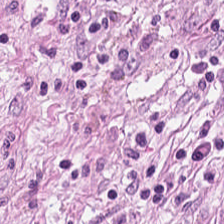0.5 microns per pixel. H&E stain. 224×224 pixel tile.
The tissue class is cancer-associated stroma.
